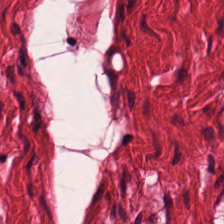Hematoxylin and eosin. Histology → muscularis.
